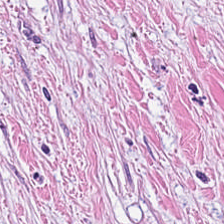H&E stain; brightfield — Predominantly cancer-associated stroma.
